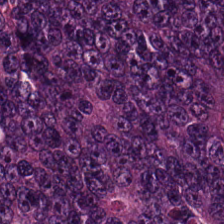224×224 pixel tile · hematoxylin and eosin. Malignant epithelium.
